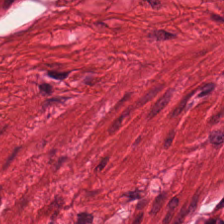H&E.
Finding — smooth muscle.
